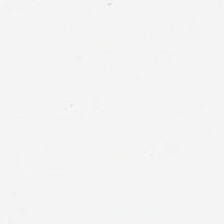H&E-stained tissue section — Empty field — no tissue.
